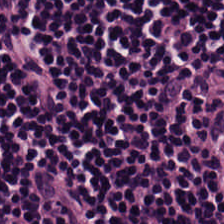Hematoxylin-and-eosin stained section — The predominant tissue is lymphocyte aggregate.
